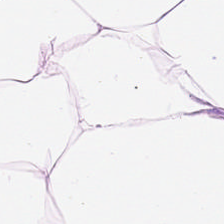Whole-slide-image patch. H&E stain. Q: What is shown in this field?
A: This is adipocytes.
